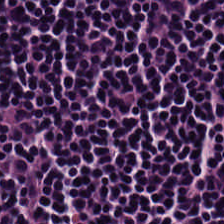Hematoxylin-and-eosin stained section.
Q: What is shown here?
A: This is lymphocytes.
